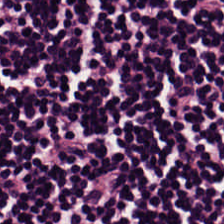224×224 pixel tile; hematoxylin-and-eosin stained section — Classification — lymphocytes.
